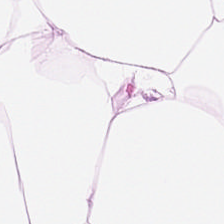0.5 µm per pixel. H&E-stained tissue section. Tissue type = adipose tissue.
